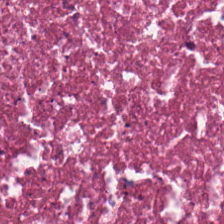H&E. 20× equivalent magnification. Showing debris.
